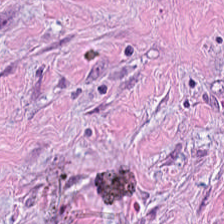WSI patch. H&E stain. 224×224 px tile.
Tissue class = tumor-associated stroma.
